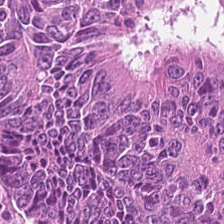FFPE tissue section · H&E-stained tissue section.
Colorectal adenocarcinoma epithelium.
